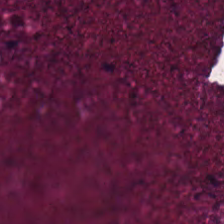Tissue: debris.
